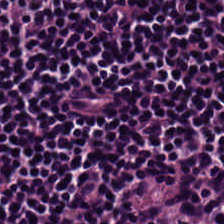Stain: hematoxylin and eosin.
Tissue type: lymphoid infiltrate.
